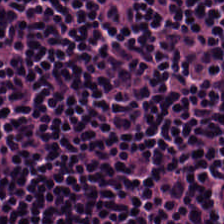H&E-stained tissue section showing lymphocytes.
